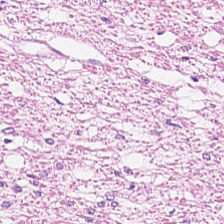H&E-stained tissue section.
Tissue class = smooth muscle.
